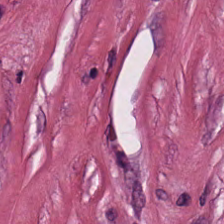Hematoxylin-and-eosin stained section. Histology — cancer-associated stroma.
